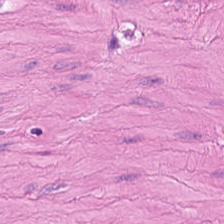Hematoxylin and eosin; 224×224 pixel tile — Predominantly smooth-muscle tissue.
